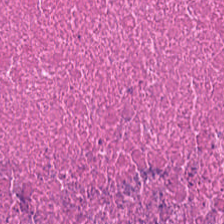H&E-stained tissue section.
Necrotic debris.
